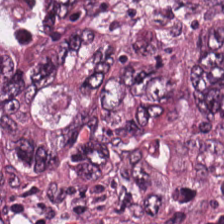Q: What tissue is shown?
A: The field shows colorectal adenocarcinoma.
